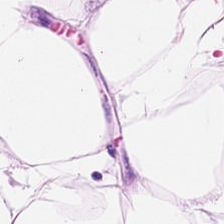H&E · formalin-fixed paraffin-embedded section. The tissue here is adipose.
